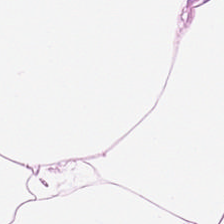H&E stain — Showing adipocytes.
